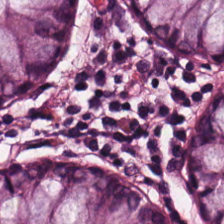Hematoxylin-and-eosin stained section; FFPE tissue section.
Tissue — non-neoplastic colon mucosa.
